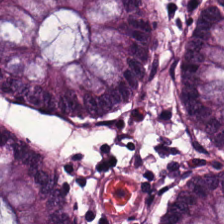Hematoxylin and eosin; 20× equivalent magnification.
{"tissue_type": "benign colonic mucosa"}
